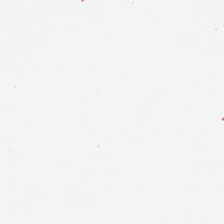Stain: hematoxylin and eosin.
Field content: background.
